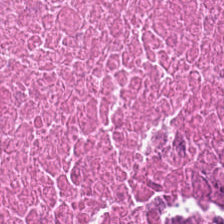H&E-stained tissue section · 224×224 px patch. This field is cellular debris.
